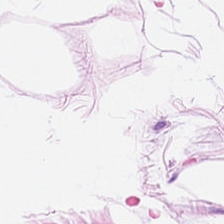Hematoxylin-and-eosin section: adipose tissue.
